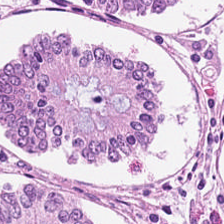Hematoxylin and eosin.
Predominant tissue: non-neoplastic colon mucosa.
